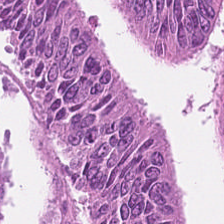FFPE tissue section. 0.5 µm/px. Hematoxylin and eosin. Finding → adenocarcinoma.
